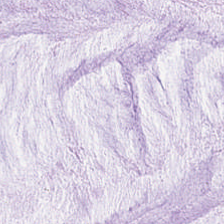H&E; WSI patch; 0.5 microns per pixel — Predominant tissue = extracellular mucin.
